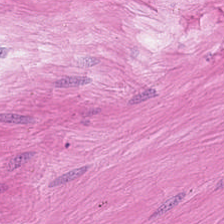Q: What is the predominant tissue type?
A: This is smooth-muscle tissue.
